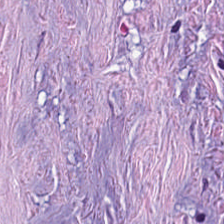Hematoxylin and eosin. Desmoplastic stroma.
